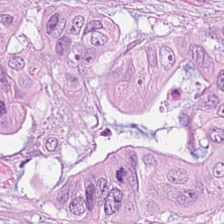Hematoxylin and eosin.
This patch shows colorectal adenocarcinoma.
